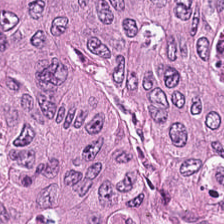Hematoxylin and eosin — {"tissue_type": "colorectal adenocarcinoma epithelium"}
